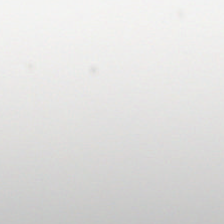H&E stain.
Q: Classify this patch.
A: This is background.
